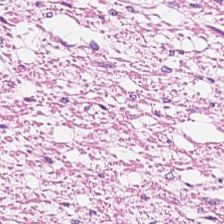H&E stain. {"tissue_type": "smooth muscle"}
